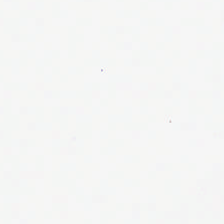Whole-slide-image patch; H&E. {"content": "background"}
